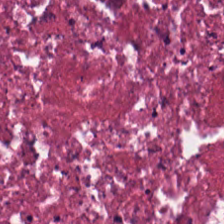WSI patch; hematoxylin and eosin. Q: Identify the tissue.
A: Debris.
